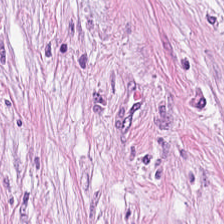Whole-slide-image patch. FFPE tissue section. H&E-stained tissue section — The predominant tissue is cancer-associated stroma.
